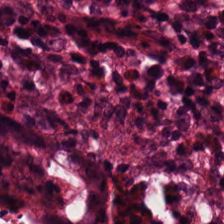H&E-stained tissue section · 0.5 µm per pixel · WSI patch.
This patch shows normal colon mucosa.
